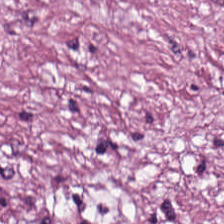H&E stain. The tissue here is tumor stroma.
